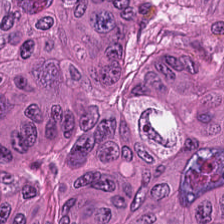Predominant tissue — adenocarcinoma.
